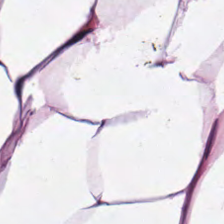Stain: H&E.
Predominant tissue: fat tissue.
